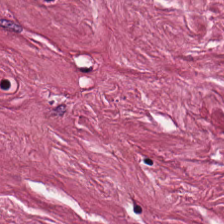Brightfield microscopy. H&E-stained tissue section — Impression — tumor stroma.
